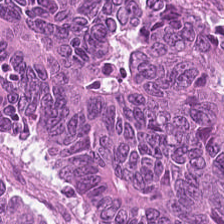Classification: colorectal adenocarcinoma epithelium.
